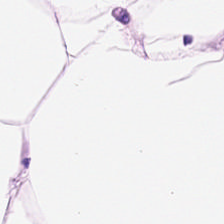Whole-slide-image patch · H&E stain — Q: What is shown in this field?
A: This is adipocytes.
